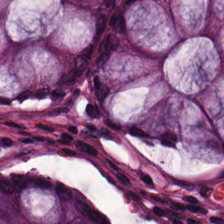Stain: H&E stain.
Tissue: non-neoplastic colon mucosa.
